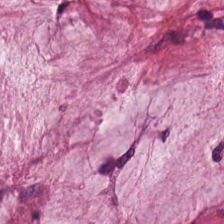Tissue type — extracellular mucin.
